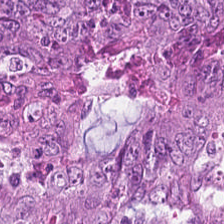Brightfield microscopy; hematoxylin and eosin. Showing colorectal adenocarcinoma epithelium.
